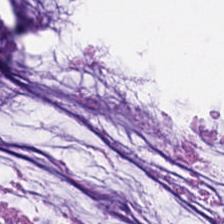H&E stain.
Finding — mucus.
